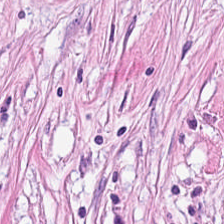224×224 pixel tile · 0.5 microns per pixel · H&E — The tissue here is cancer-associated stroma.
